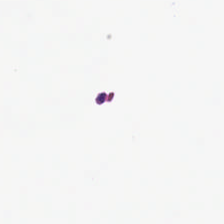H&E-stained tissue section. This patch shows background.
